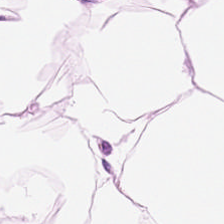Predominant tissue = adipocytes.
